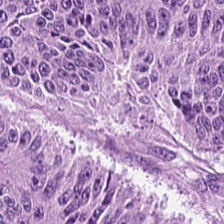0.5 microns per pixel. H&E stain. Q: Identify the tissue.
A: Tumor epithelium.
